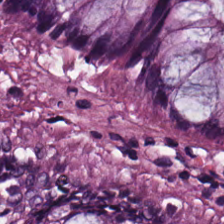Hematoxylin and eosin; FFPE tissue section.
Q: What is the predominant tissue type?
A: It is benign colonic mucosa.
